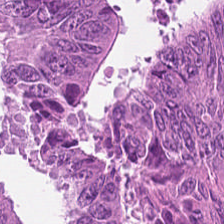224×224 px patch. WSI patch. H&E-stained tissue section — Q: Identify the tissue.
A: The field shows adenocarcinoma.
